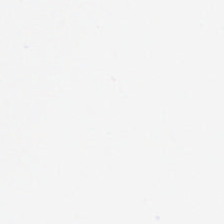Stain: H&E-stained tissue section.
Field content: background (no tissue).
